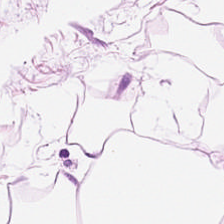224×224 px patch · H&E stain · whole-slide-image patch.
Q: What is shown here?
A: It is adipose.
